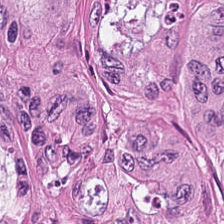Hematoxylin-and-eosin stained section; 0.5 µm per pixel; FFPE tissue section. Q: What is shown in this field?
A: This is colorectal adenocarcinoma epithelium.
